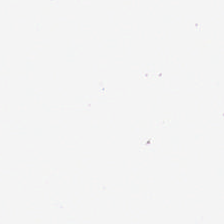H&E — The classification is empty background.
